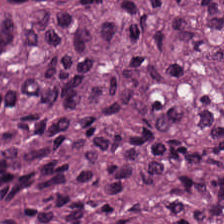H&E stain. This field is malignant epithelium.
